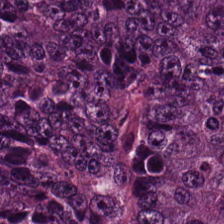224×224 px tile. H&E-stained tissue section. This patch shows colorectal adenocarcinoma epithelium.
